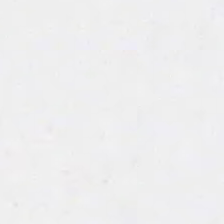H&E-stained tissue section.
This field is background (no tissue).
